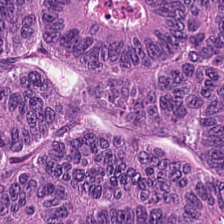20× equivalent magnification · H&E stain · 224×224 px tile.
This patch shows adenocarcinoma.
